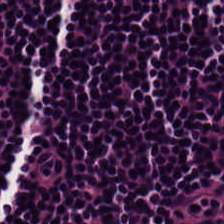Hematoxylin and eosin.
{"tissue_type": "lymphocytic infiltrate"}
